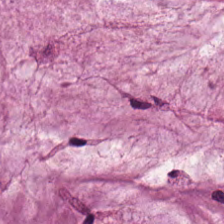Hematoxylin and eosin · 224×224 px tile — Q: What tissue type is shown here?
A: The field shows extracellular mucin.
